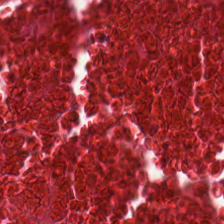Predominant tissue = necrotic debris.
